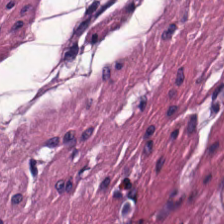Tissue type = muscularis.
